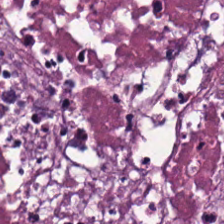Q: What type of tissue is this?
A: This is cellular debris.
